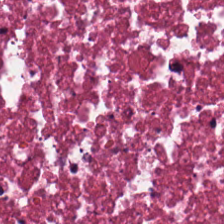The tissue here is cellular debris.
